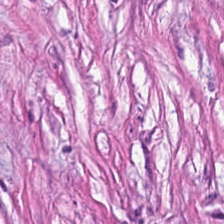Finding — cancer-associated stroma.
